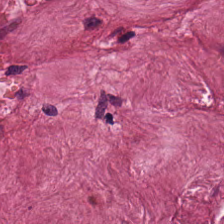H&E-stained tissue section — This field is cancer-associated stroma.
